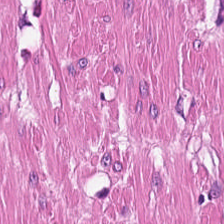224×224 px tile · hematoxylin-and-eosin stained section.
The tissue is smooth-muscle tissue.
